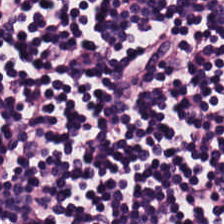H&E.
Predominant tissue — lymphocytic infiltrate.
